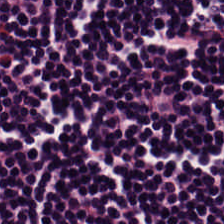Stain: hematoxylin and eosin.
Tissue: lymphocytes.
